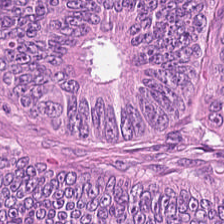H&E stain · brightfield. Q: Classify this patch.
A: It is colorectal adenocarcinoma epithelium.
